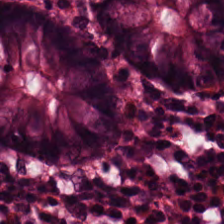Normal colon mucosa.
